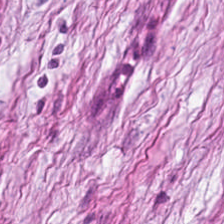H&E.
Histology → tumor stroma.
